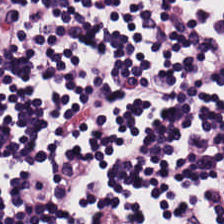H&E stain. Whole-slide-image patch.
Tissue type — lymphocytic infiltrate.
